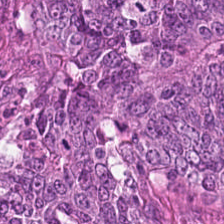Q: What does this patch show?
A: It is adenocarcinoma.
